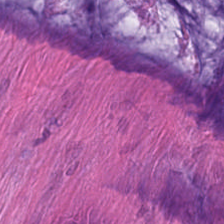Hematoxylin and eosin — This field is extracellular mucin.
